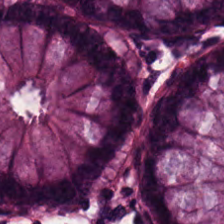Hematoxylin and eosin.
Benign colonic mucosa.
